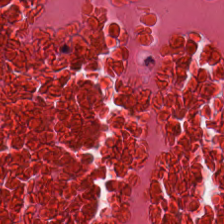FFPE tissue section · H&E.
{"tissue_type": "necrotic debris"}
